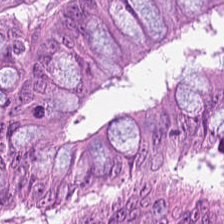FFPE tissue section · H&E-stained tissue section — Tumor epithelium.
